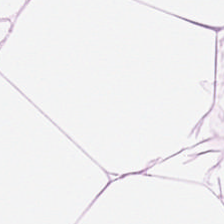Stain: H&E.
Tissue type: adipose tissue.
